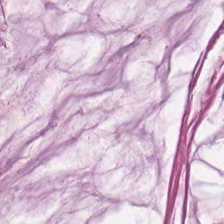Hematoxylin and eosin — Q: What is shown in this field?
A: The field shows extracellular mucin.
